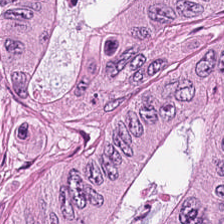Predominant tissue = colorectal adenocarcinoma.
